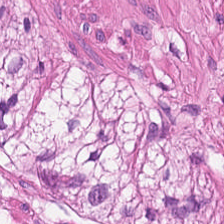224×224 pixel tile; formalin-fixed paraffin-embedded section; H&E-stained tissue section — This patch shows smooth muscle.
